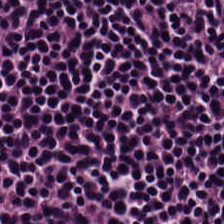Stain: hematoxylin-and-eosin stained section.
Tissue: lymphocytic infiltrate.
